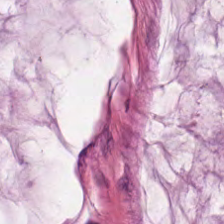The tissue type is mucin.
